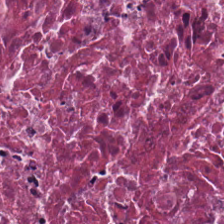Hematoxylin and eosin.
Predominantly necrotic debris.
